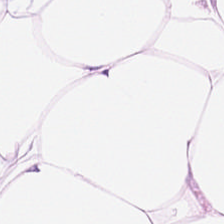Hematoxylin-and-eosin stained section.
Classification = adipocytes.
